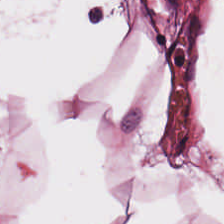Hematoxylin-and-eosin stained section. Histology → adipose tissue.
